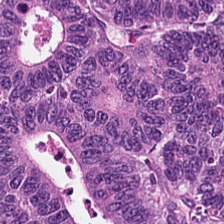FFPE tissue section · hematoxylin-and-eosin stained section. Q: What is the predominant tissue type?
A: The field shows tumor epithelium.
